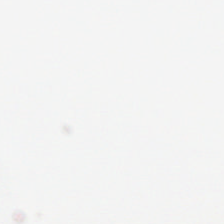224×224 pixel tile; formalin-fixed paraffin-embedded section; hematoxylin and eosin.
This field is background (no tissue).
